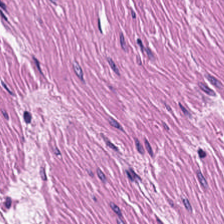H&E-stained tissue section. 0.5 µm/px. 224×224 pixel tile — Tissue — smooth-muscle tissue.
